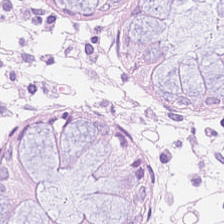Hematoxylin-and-eosin stained section · 224×224 pixel tile · FFPE tissue section.
Predominant tissue: normal colonic mucosa.
